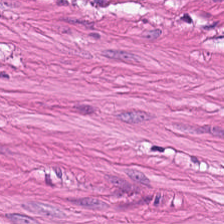0.5 µm/px · H&E · 224×224 px patch. Tissue type = smooth-muscle tissue.
